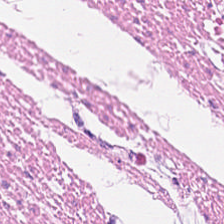20× equivalent magnification; hematoxylin and eosin.
Showing smooth-muscle tissue.
